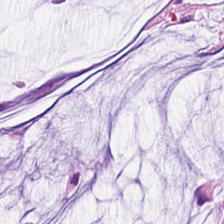H&E-stained section; the field shows extracellular mucin.
